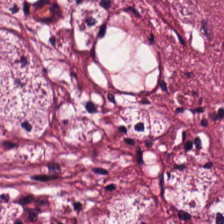Whole-slide-image patch · hematoxylin-and-eosin stained section. Tissue — tumor stroma.
